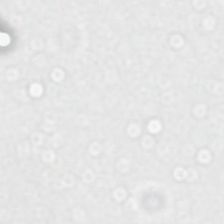Q: What is shown here?
A: This is no tissue.
